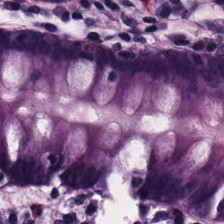Q: What tissue is shown?
A: It is normal colonic mucosa.
